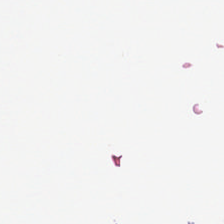Q: What is shown in this field?
A: This is background (no tissue).
